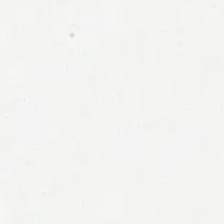Stain: hematoxylin-and-eosin stained section.
Classification: background (no tissue).
